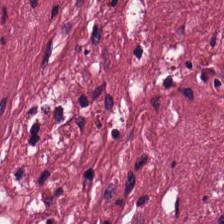Showing tumor stroma.
